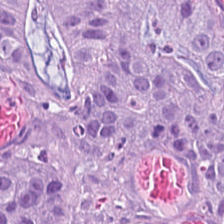H&E stain.
Q: What type of tissue is this?
A: Colorectal adenocarcinoma epithelium.
